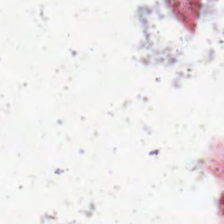H&E stain · 20× equivalent magnification.
{"content": "no tissue"}
